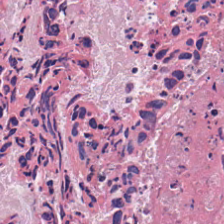Hematoxylin-and-eosin stained section; whole-slide-image patch — Q: What is shown in this field?
A: This is cellular debris.
